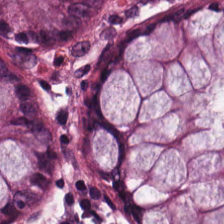Hematoxylin and eosin; whole-slide-image patch. Predominant tissue — normal colonic mucosa.
